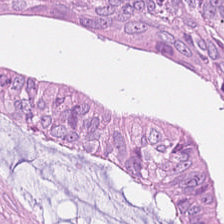Hematoxylin and eosin; FFPE tissue section — This field is colorectal adenocarcinoma epithelium.
